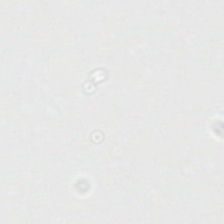H&E-stained tissue section — The field content is no tissue.
